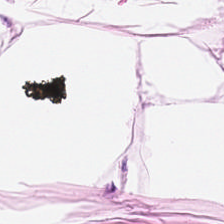H&E-stained tissue section showing adipose.
